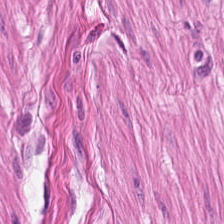Formalin-fixed paraffin-embedded section · H&E-stained tissue section.
Predominantly smooth-muscle tissue.
